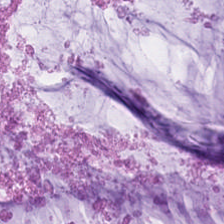H&E. Showing mucus.
